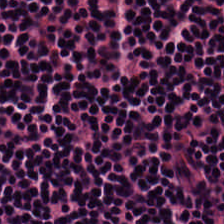Stain: hematoxylin and eosin.
Resolution: 0.5 microns per pixel.
Tissue: lymphocytic infiltrate.
